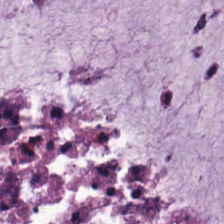224×224 px patch. H&E. Predominant tissue = extracellular mucin.
